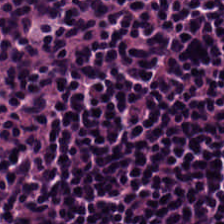224×224 px tile; hematoxylin-and-eosin stained section. Predominant tissue — lymphocyte aggregate.
